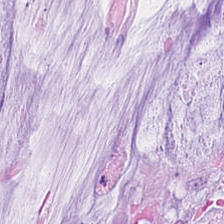Brightfield microscopy · 224×224 pixel tile · hematoxylin-and-eosin stained section.
Predominant tissue = mucin.
